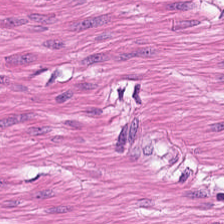This field is smooth muscle.
